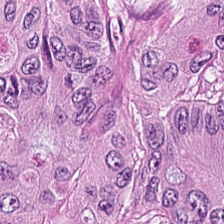0.5 µm/px. Whole-slide-image patch. H&E-stained tissue section. Predominant tissue — colorectal adenocarcinoma epithelium.
